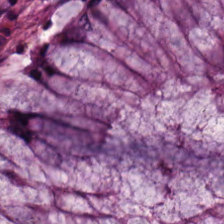Stain: hematoxylin and eosin.
Classification: normal colonic mucosa.
